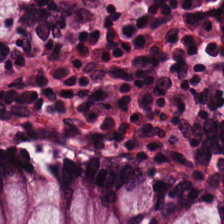Stain: hematoxylin and eosin.
Tissue: benign colonic mucosa.
